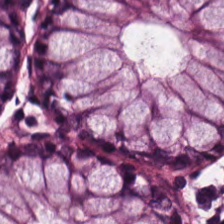H&E stain. The predominant tissue is benign colonic mucosa.
